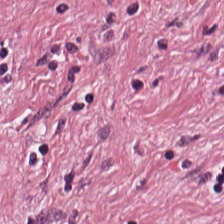Hematoxylin-and-eosin stained section — Cancer-associated stroma.
